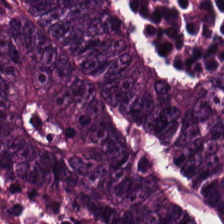224×224 px patch. Hematoxylin-and-eosin stained section — {"tissue_type": "colorectal adenocarcinoma"}
